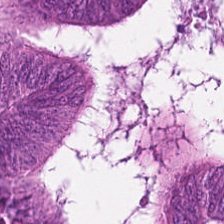Formalin-fixed paraffin-embedded section · H&E stain.
{"tissue_type": "adenocarcinoma"}
